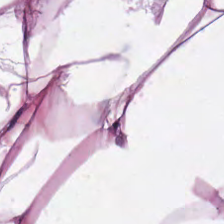Hematoxylin and eosin — Histology → fat tissue.
